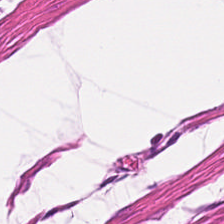H&E stain. 224×224 pixel tile — Muscularis.
